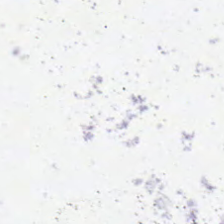Empty field — background.
